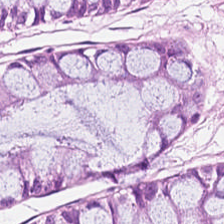H&E stain. 0.5 µm/px — The tissue here is normal colon mucosa.
